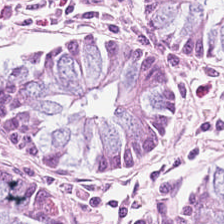Hematoxylin-and-eosin stained section — Q: What type of tissue is this?
A: This is normal colon mucosa.
